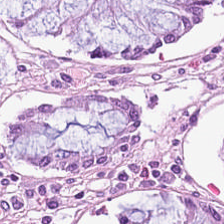Whole-slide-image patch · H&E — Classification — normal colon mucosa.
